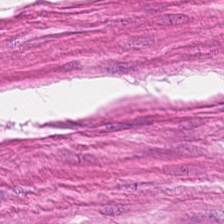{"tissue_type": "smooth muscle"}
